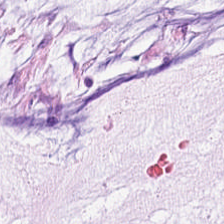H&E. 224×224 px patch.
Impression — mucin.
